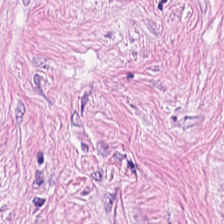Stain: H&E.
Tissue: tumor-associated stroma.
